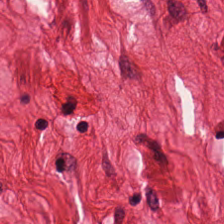Stain: hematoxylin and eosin.
Tile size: 224×224 px tile.
Tissue type: smooth-muscle tissue.
